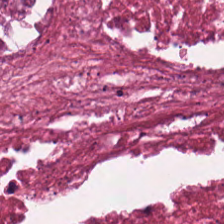H&E. Formalin-fixed paraffin-embedded section — Tissue class: debris.
